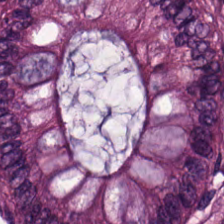Tissue: non-neoplastic colon mucosa.
